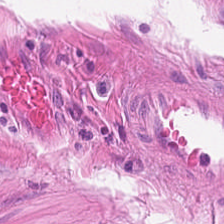The predominant tissue is smooth-muscle tissue.
